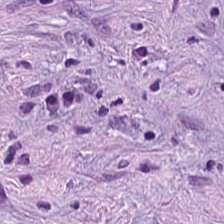Hematoxylin-and-eosin stained section. Whole-slide-image patch — {"tissue_type": "tumor-associated stroma"}
